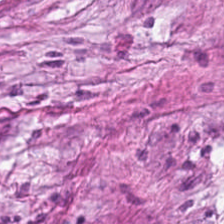Brightfield · H&E — Impression → tumor-associated stroma.
